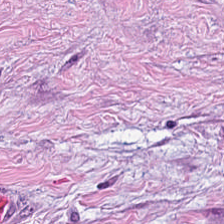H&E — Showing tumor-associated stroma.
